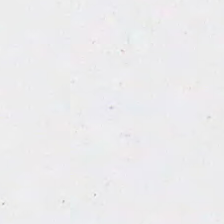0.5 µm/px. FFPE tissue section. H&E stain — This field is background (no tissue).
